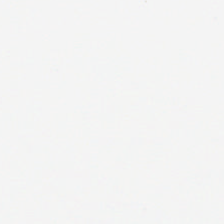FFPE tissue section; H&E stain; 224×224 px patch.
This patch shows no tissue.
